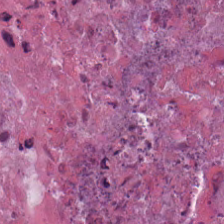H&E — debris.
